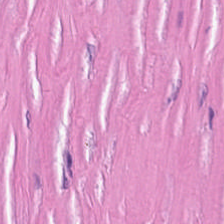Q: What is the predominant tissue type?
A: This is tumor-associated stroma.
